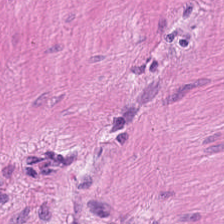WSI patch; hematoxylin-and-eosin stained section. The predominant tissue is smooth-muscle tissue.
